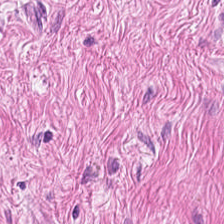Hematoxylin-and-eosin stained section.
Showing smooth muscle.
